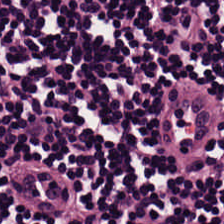Hematoxylin and eosin. Brightfield. Predominantly lymphocytes.
